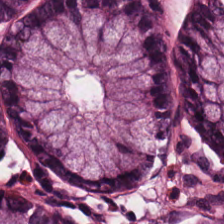H&E. 224×224 pixel tile. This patch shows non-neoplastic colon mucosa.
